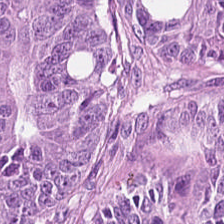This field is colorectal adenocarcinoma.
